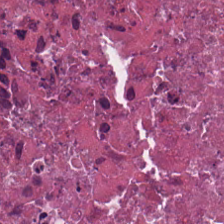H&E stain — Impression → cellular debris.
